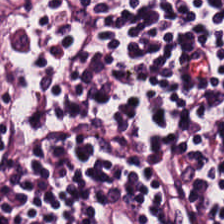Finding → lymphocytes.
